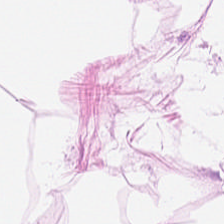H&E-stained tissue section. Q: What is shown in this field?
A: This is adipocytes.
